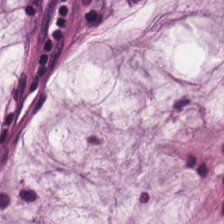Finding — mucus.
